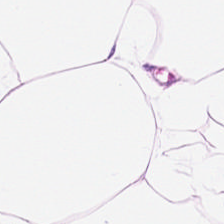H&E-stained tissue section.
Q: What tissue is shown?
A: The field shows fat tissue.
